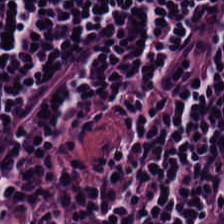H&E-stained tissue section — This patch shows lymphoid infiltrate.
